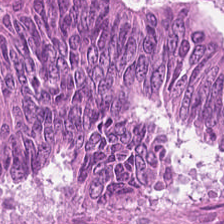H&E-stained tissue section.
Tissue class: colorectal adenocarcinoma.
